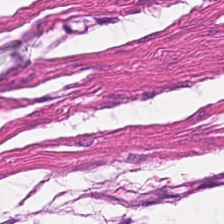Brightfield microscopy; hematoxylin-and-eosin stained section.
Impression → smooth muscle.
